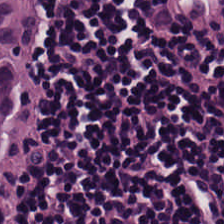Hematoxylin and eosin · 224×224 pixel tile.
Tissue — lymphocytes.
